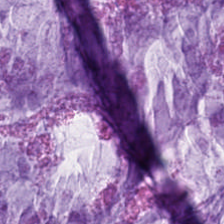H&E stain. Tissue type — extracellular mucin.
